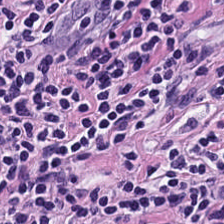0.5 µm/px; 224×224 pixel tile; H&E. The tissue here is lymphocytes.
